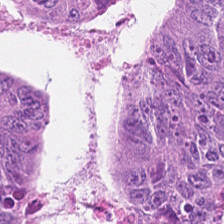Stain: H&E stain.
Tile size: 224×224 px patch.
Preparation: FFPE tissue section.
Tissue class: malignant epithelium.
